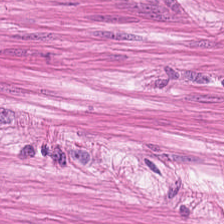H&E-stained tissue section; formalin-fixed paraffin-embedded section. Smooth muscle.
